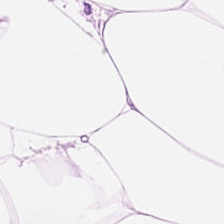H&E stain · 20× equivalent magnification.
Histology → adipose.
